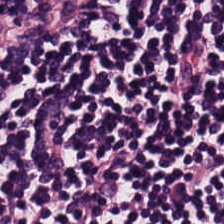Stain: hematoxylin and eosin.
Predominant tissue: lymphoid infiltrate.
